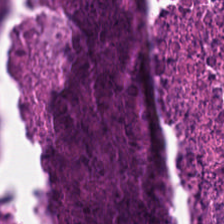Formalin-fixed paraffin-embedded section; hematoxylin and eosin.
This field is necrotic debris.
